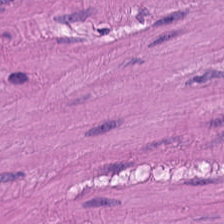Hematoxylin and eosin — Finding — smooth-muscle tissue.
